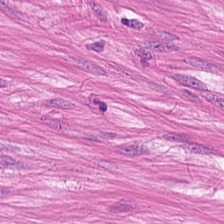H&E-stained tissue section. This patch shows smooth-muscle tissue.
